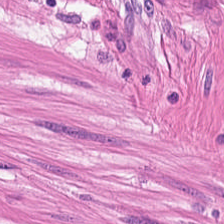Histology → muscularis.
